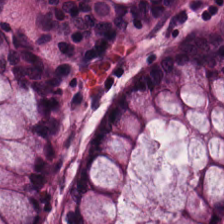Brightfield microscopy; hematoxylin-and-eosin stained section — Predominant tissue — normal colon mucosa.
